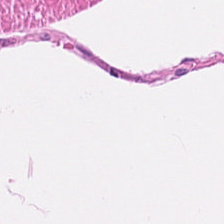H&E stain. WSI patch.
{"tissue_type": "smooth-muscle tissue"}
